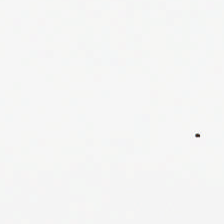Stain: hematoxylin-and-eosin stained section.
Tile size: 224×224 pixel tile.
Content: background.
